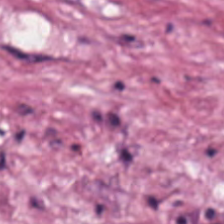Hematoxylin-and-eosin section: desmoplastic stroma.
